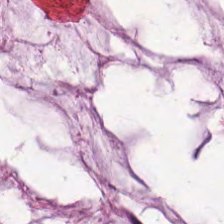Hematoxylin-and-eosin stained section · 224×224 px tile — Impression → extracellular mucin.
